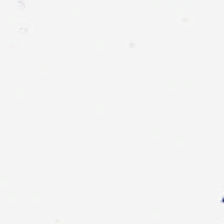Hematoxylin-and-eosin stained section. This patch shows empty background.
